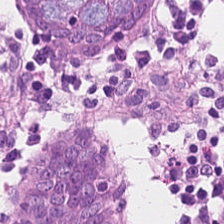H&E.
Q: What does this patch show?
A: The field shows non-neoplastic colon mucosa.
